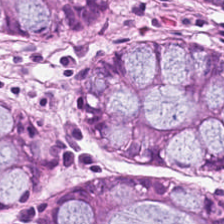Stain: hematoxylin and eosin.
Tissue: benign colonic mucosa.
